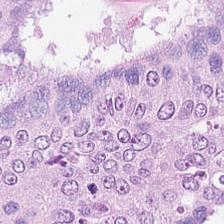The predominant tissue is adenocarcinoma.
